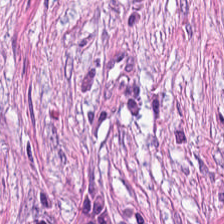Hematoxylin-and-eosin stained section — Impression → desmoplastic stroma.
